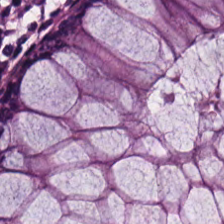FFPE tissue section. H&E stain. 224×224 px patch — This patch shows benign colonic mucosa.
